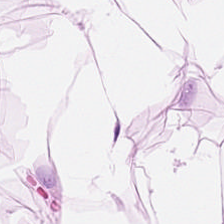H&E.
Q: What does this patch show?
A: This is adipocytes.
